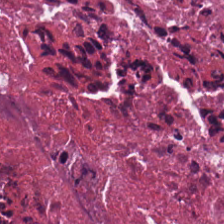Hematoxylin-and-eosin stained section · brightfield · formalin-fixed paraffin-embedded section. Q: What is the predominant tissue type?
A: It is debris.
